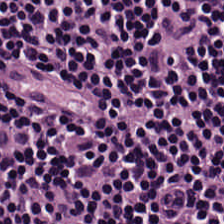Hematoxylin and eosin.
Q: What is shown in this field?
A: This is lymphocytic infiltrate.
